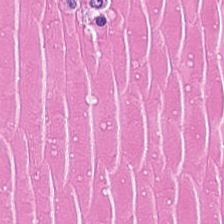H&E · FFPE tissue section — {"tissue_type": "debris"}
